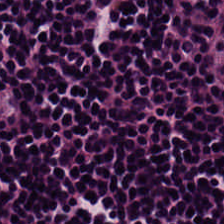Hematoxylin-and-eosin stained section. The tissue is lymphocyte aggregate.
